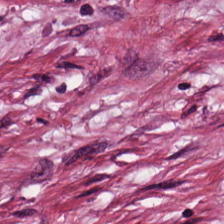224×224 pixel tile · hematoxylin and eosin · 0.5 µm per pixel — Tissue — tumor stroma.
